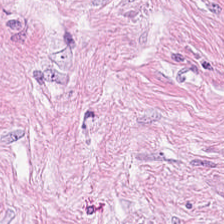Formalin-fixed paraffin-embedded section. Hematoxylin and eosin — Classification = tumor-associated stroma.
